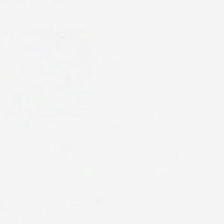Background (no tissue).
